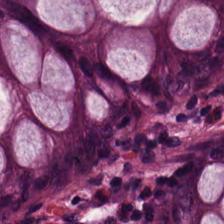Formalin-fixed paraffin-embedded section; 20× equivalent magnification; H&E stain — Finding — normal colonic mucosa.
